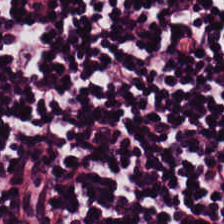H&E stain · 224×224 px patch — Predominantly lymphocyte aggregate.
